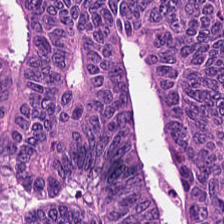H&E-stained tissue section; 0.5 microns per pixel; FFPE. The predominant tissue is malignant epithelium.
